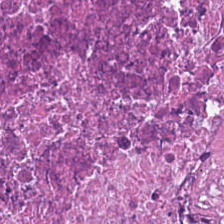H&E-stained tissue section; 0.5 microns per pixel; FFPE — Q: What tissue type is shown here?
A: It is necrotic debris.
